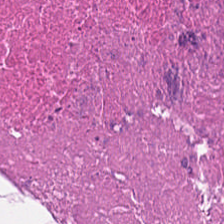0.5 microns per pixel. Hematoxylin and eosin.
Showing necrotic debris.
